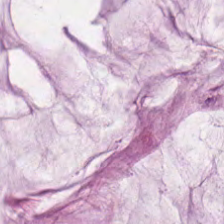Stain: H&E-stained tissue section.
Tissue: extracellular mucin.
